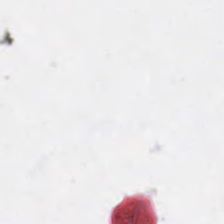H&E stain.
Q: Classify this patch.
A: It is no tissue.
